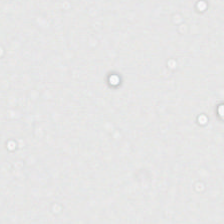Background — no tissue in this field.
